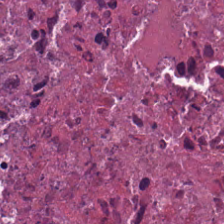Hematoxylin and eosin — Showing necrotic debris.
